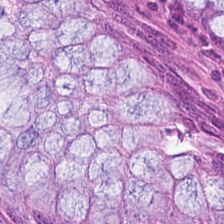This field is non-neoplastic colon mucosa.
